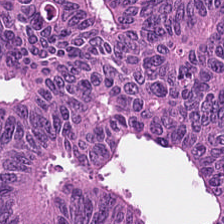H&E stain.
This patch shows adenocarcinoma.
